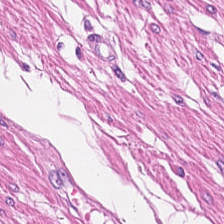Hematoxylin and eosin. Showing muscularis.
